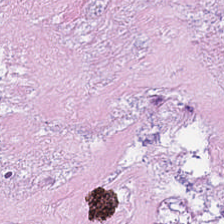H&E-stained tissue section.
Q: What is shown in this field?
A: It is debris.
